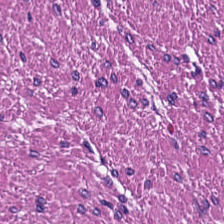H&E stain. Q: Identify the tissue.
A: The field shows smooth muscle.
